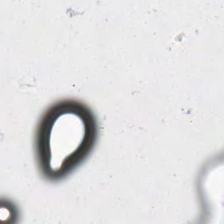224×224 px patch. Hematoxylin and eosin.
{"content": "background (no tissue)"}
